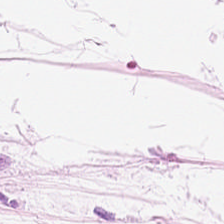H&E stain; 224×224 px tile; FFPE tissue section.
The tissue here is adipose.
